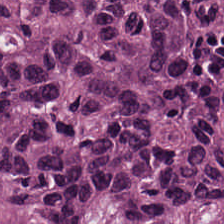Stain: H&E stain.
Classification: colorectal adenocarcinoma.
